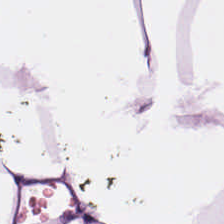H&E; 0.5 microns per pixel; whole-slide-image patch.
Classification = adipose tissue.
